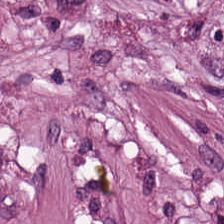H&E stain · 224×224 px patch — Predominantly desmoplastic stroma.
